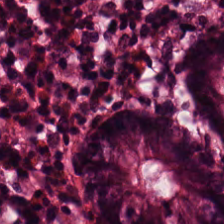Hematoxylin and eosin; formalin-fixed paraffin-embedded section. Classification: normal colonic mucosa.
